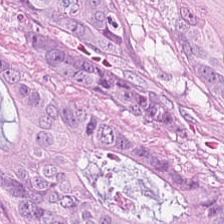H&E stain · 0.5 µm per pixel · 224×224 px tile — The tissue here is malignant epithelium.
